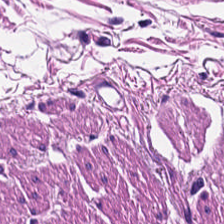Hematoxylin-and-eosin section: smooth muscle.
